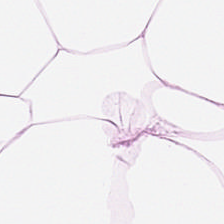H&E-stained tissue section. This patch shows adipose.
